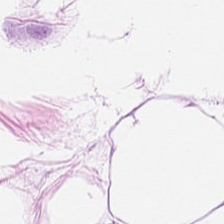FFPE tissue section; 0.5 microns per pixel; H&E stain — Predominantly fat tissue.
